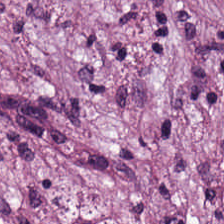Hematoxylin and eosin.
Tissue = cancer-associated stroma.
